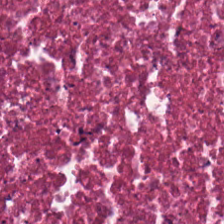224×224 pixel tile · H&E-stained tissue section.
Predominantly cellular debris.
